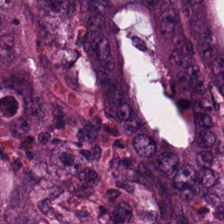H&E — Tissue = colorectal adenocarcinoma epithelium.
